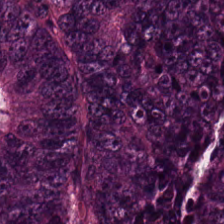0.5 microns per pixel. H&E stain. Impression → tumor epithelium.
